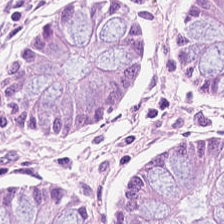Q: Classify this patch.
A: This is benign colonic mucosa.
